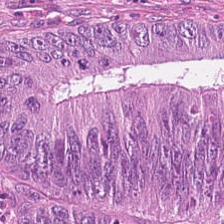Formalin-fixed paraffin-embedded section. Hematoxylin and eosin.
Colorectal adenocarcinoma epithelium.
